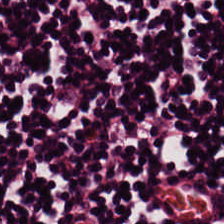Hematoxylin-and-eosin stained section — The predominant tissue is lymphocytic infiltrate.
